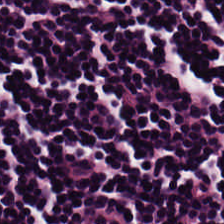{"tissue_type": "lymphocytes"}
